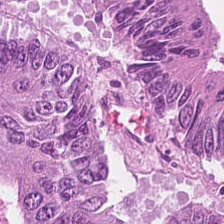H&E. The predominant tissue is malignant epithelium.
